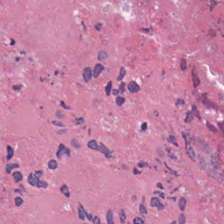Q: Identify the tissue.
A: This is debris.
